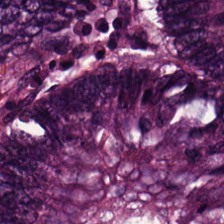Stain: H&E-stained tissue section.
Tissue: tumor epithelium.
